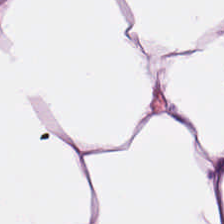Hematoxylin-and-eosin stained section — Q: Identify the tissue.
A: The field shows fat tissue.
